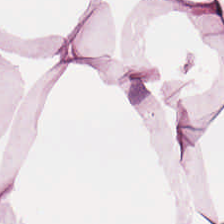0.5 microns per pixel. H&E-stained tissue section. Classification = adipose tissue.
